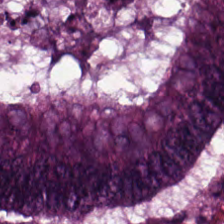Hematoxylin-and-eosin stained section · WSI patch — Colorectal adenocarcinoma epithelium.
